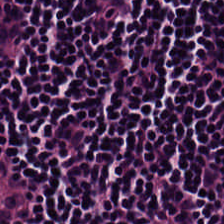Hematoxylin and eosin — The predominant tissue is lymphocytes.
